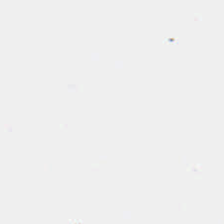Brightfield microscopy · hematoxylin-and-eosin stained section.
Classification — no tissue.
